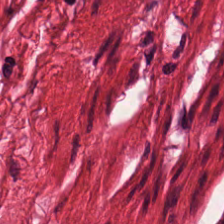H&E. Q: What is shown in this field?
A: This is smooth-muscle tissue.
